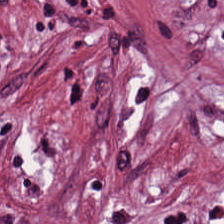Tissue class = tumor stroma.
